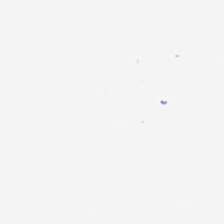224×224 px tile · H&E-stained tissue section. Background — no tissue in this field.
